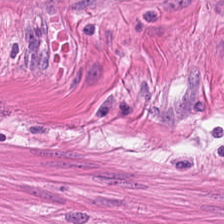H&E-stained tissue section — Tissue = smooth-muscle tissue.
